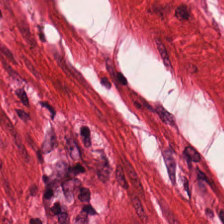The tissue type is muscularis.
